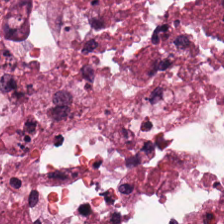H&E — The tissue here is cellular debris.
